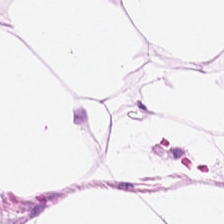Hematoxylin and eosin — Tissue type = fat tissue.
